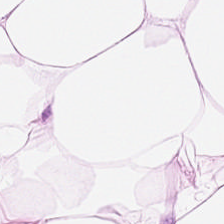{"tissue_type": "adipose"}
